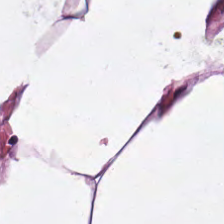H&E.
The tissue here is adipose.
